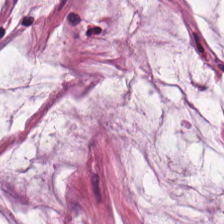Stain: H&E.
Tissue: mucin.
